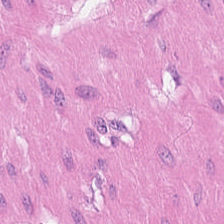Finding → smooth-muscle tissue.
